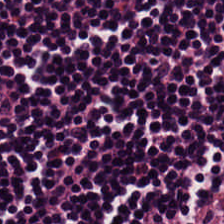H&E — The tissue here is lymphocytes.
